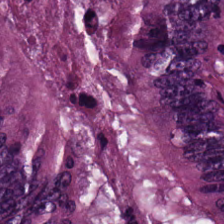H&E-stained tissue section · 224×224 px tile · 0.5 µm/px.
{"tissue_type": "tumor epithelium"}
